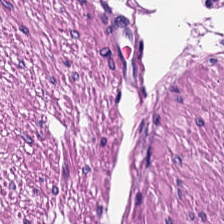Hematoxylin and eosin. The predominant tissue is muscularis.
